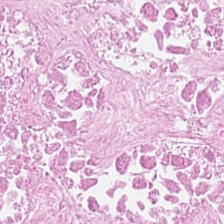Hematoxylin-and-eosin stained section — The tissue here is cellular debris.
